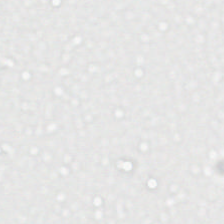Empty field — empty background.
